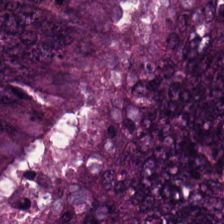Hematoxylin and eosin · brightfield microscopy. Predominantly colorectal adenocarcinoma epithelium.
